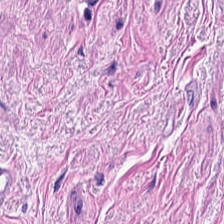H&E-stained section; the field shows smooth-muscle tissue.
